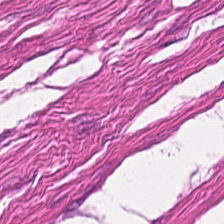FFPE; H&E-stained tissue section; brightfield microscopy — Predominantly muscularis.
